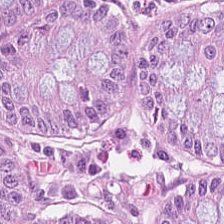Hematoxylin-and-eosin stained section · 224×224 pixel tile · WSI patch. The tissue type is normal colon mucosa.
